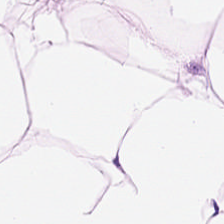H&E stain — Fat tissue.
